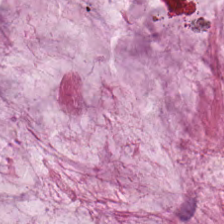0.5 µm per pixel · H&E-stained tissue section.
Q: What tissue is shown?
A: This is mucin.
